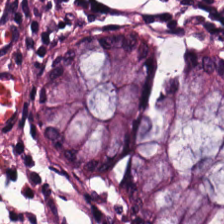H&E. Tissue type = normal colonic mucosa.
